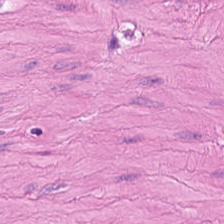Q: What is shown here?
A: It is smooth-muscle tissue.
